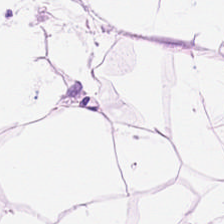Stain: H&E-stained tissue section.
Predominant tissue: adipose.
